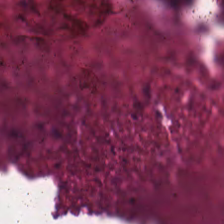Hematoxylin-and-eosin stained section · FFPE — {"tissue_type": "debris"}
